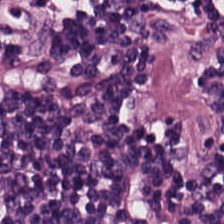Hematoxylin-and-eosin stained section. FFPE — {"tissue_type": "lymphocytic infiltrate"}
